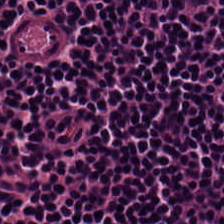H&E-stained tissue section; brightfield microscopy.
The classification is lymphoid infiltrate.
